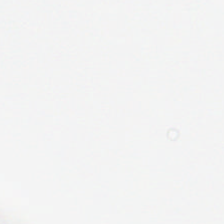Finding — empty background.
